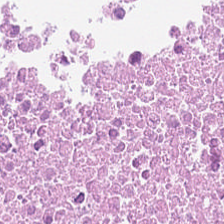Hematoxylin and eosin; 224×224 px patch. Showing cellular debris.
